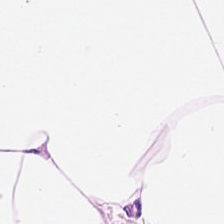WSI patch; H&E-stained tissue section; 224×224 pixel tile.
The predominant tissue is adipose.
